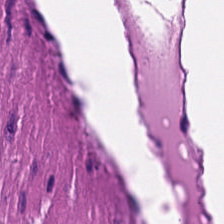Stain: H&E-stained tissue section.
Classification: smooth muscle.
